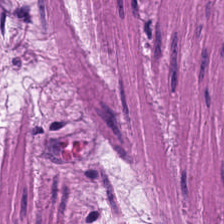Stain: hematoxylin and eosin.
Tissue type: muscularis.
